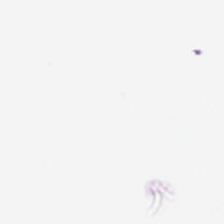Hematoxylin and eosin. Q: What does this patch show?
A: This is no tissue.
